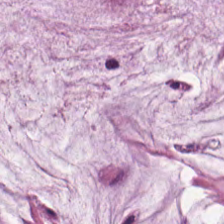Hematoxylin and eosin. 224×224 px tile. Q: What is shown here?
A: Extracellular mucin.
